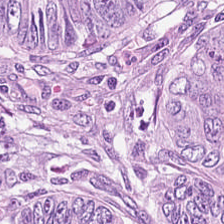H&E-stained tissue section — Showing colorectal adenocarcinoma.
